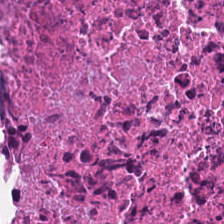0.5 µm per pixel · H&E.
Q: What type of tissue is this?
A: This is cellular debris.
